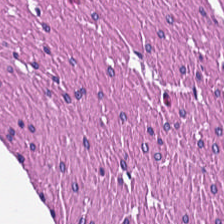Hematoxylin and eosin · whole-slide-image patch · 20× equivalent magnification — Q: What is shown here?
A: This is smooth-muscle tissue.
